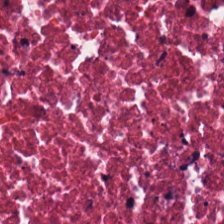H&E. This field is necrotic debris.
